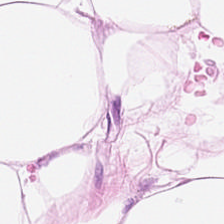Hematoxylin and eosin. WSI patch. {"tissue_type": "adipose"}
